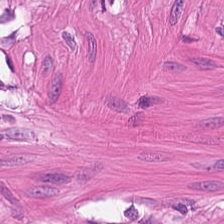H&E stain — Tissue class — smooth muscle.
